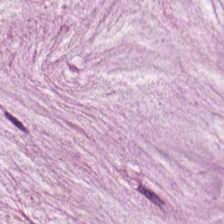H&E. 224×224 px patch — {"tissue_type": "mucus"}
